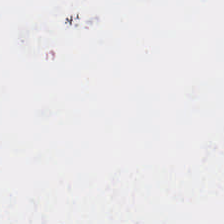Hematoxylin-and-eosin stained section.
This patch shows background (no tissue).
